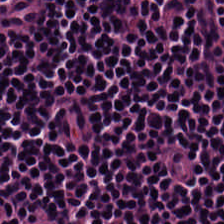H&E stain — Finding — lymphocyte aggregate.
